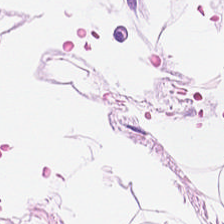Stain: hematoxylin-and-eosin stained section.
Tissue type: adipose.
